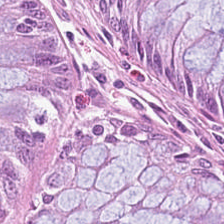H&E stain · 224×224 pixel tile. Classification — benign colonic mucosa.
